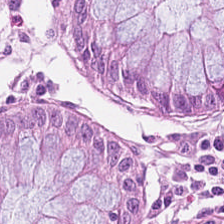224×224 pixel tile; hematoxylin and eosin; 0.5 µm/px — This patch shows normal colon mucosa.
